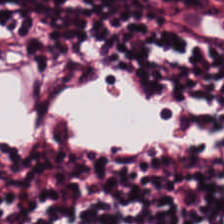Whole-slide-image patch; hematoxylin and eosin. Lymphocytes.
